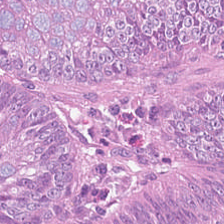H&E — Q: What type of tissue is this?
A: The field shows colorectal adenocarcinoma epithelium.
